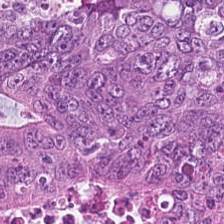H&E. FFPE tissue section — Tissue type — tumor epithelium.
